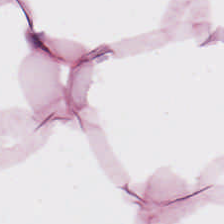H&E stain; FFPE tissue section.
Showing adipocytes.
